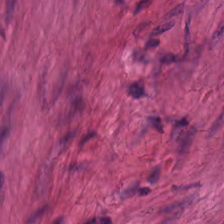H&E · whole-slide-image patch.
Tissue type = muscularis.
